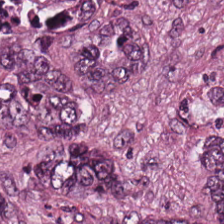Hematoxylin and eosin · whole-slide-image patch. The tissue here is tumor epithelium.
